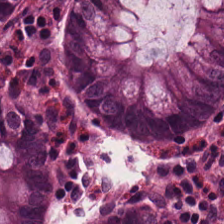H&E stain.
The tissue here is non-neoplastic colon mucosa.
